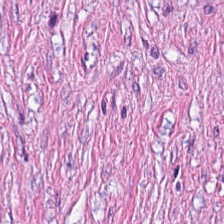224×224 px tile. H&E stain. Brightfield. The tissue here is tumor stroma.
